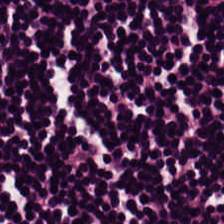Q: What tissue type is shown here?
A: The field shows lymphoid infiltrate.
